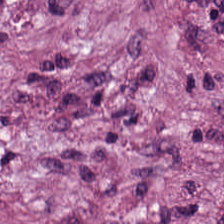H&E-stained tissue section — Tumor-associated stroma.
